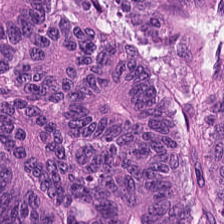Q: Classify this patch.
A: This is tumor epithelium.
